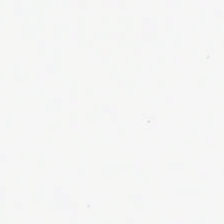Finding — no tissue.
